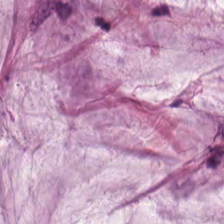Hematoxylin-and-eosin stained section.
Histology — mucus.
